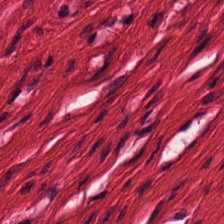Hematoxylin and eosin — Tissue class: smooth muscle.
